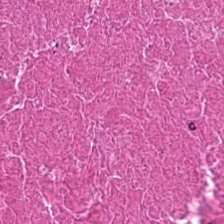WSI patch. H&E-stained tissue section — Tissue: cellular debris.
